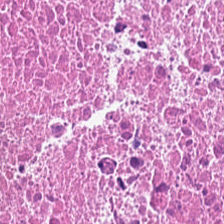H&E stain. {"tissue_type": "necrotic debris"}
